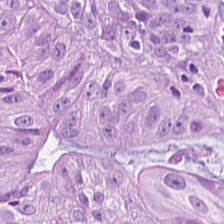H&E-stained tissue section. Q: Identify the tissue.
A: It is colorectal adenocarcinoma.
